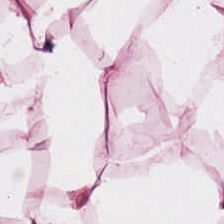0.5 microns per pixel · hematoxylin-and-eosin stained section.
Classification: adipose tissue.
